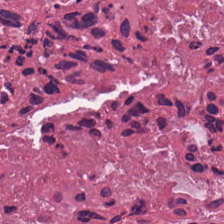Cellular debris.
